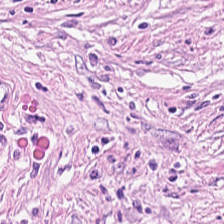Brightfield · hematoxylin-and-eosin stained section · 224×224 pixel tile.
Q: What is shown here?
A: Desmoplastic stroma.
